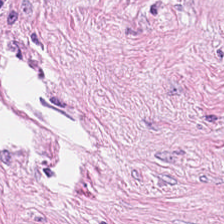Hematoxylin and eosin; 224×224 pixel tile. Finding → desmoplastic stroma.
